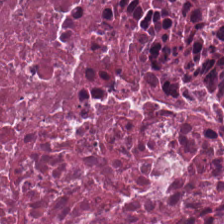H&E. This field is cellular debris.
